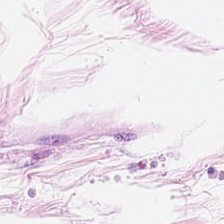Stain: H&E.
Acquisition: brightfield microscopy.
Tile size: 224×224 px patch.
Tissue class: fat tissue.
